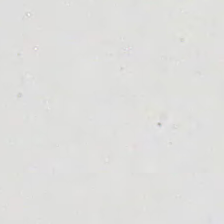Stain: hematoxylin-and-eosin stained section.
Preparation: FFPE.
Field content: no tissue.
